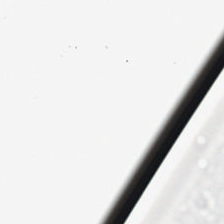Field content: empty background.
